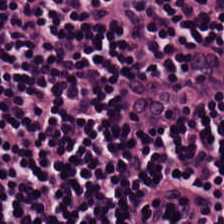224×224 pixel tile · 0.5 microns per pixel · hematoxylin-and-eosin stained section.
Predominantly lymphocytic infiltrate.
